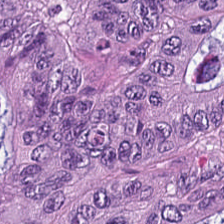Q: What is shown here?
A: Adenocarcinoma.
